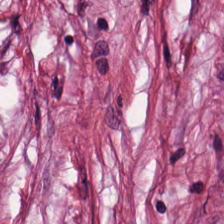H&E stain — Cancer-associated stroma.
